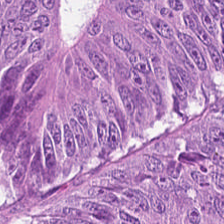Hematoxylin-and-eosin stained section.
Malignant epithelium.
